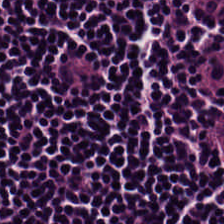H&E stain. The predominant tissue is lymphocytic infiltrate.
